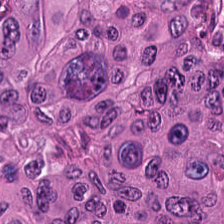Hematoxylin and eosin — The predominant tissue is adenocarcinoma.
